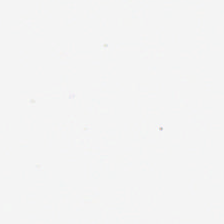H&E. Q: Classify this patch.
A: The field shows empty background.
